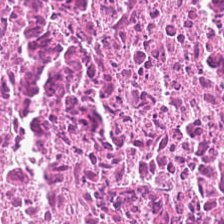H&E — debris.
